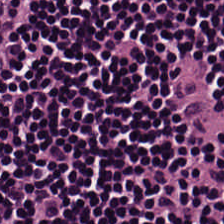Hematoxylin and eosin.
Tissue — lymphocytes.
